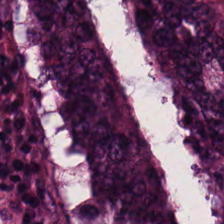FFPE · hematoxylin and eosin.
This field is colorectal adenocarcinoma epithelium.
